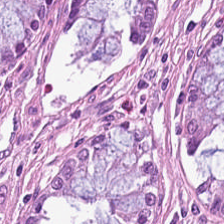0.5 µm per pixel; hematoxylin-and-eosin stained section. This patch shows non-neoplastic colon mucosa.
